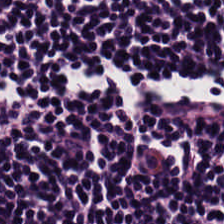Hematoxylin-and-eosin stained section. {"tissue_type": "lymphoid infiltrate"}
